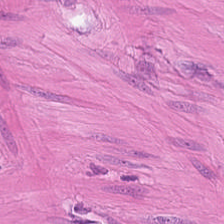H&E. Classification = smooth muscle.
